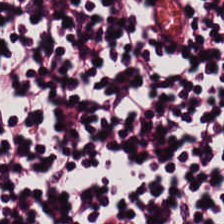The tissue type is lymphocytes.
